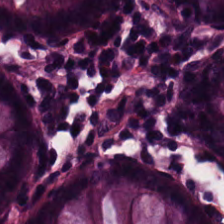H&E-stained tissue section. 224×224 px tile. 0.5 microns per pixel. {"tissue_type": "benign colonic mucosa"}
